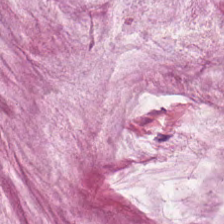Hematoxylin-and-eosin stained section. FFPE. Showing extracellular mucin.
